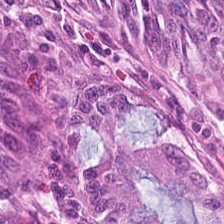Stain: H&E-stained tissue section.
Tissue class: non-neoplastic colon mucosa.
